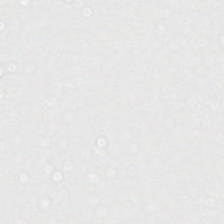H&E · formalin-fixed paraffin-embedded section. This field is background (no tissue).
